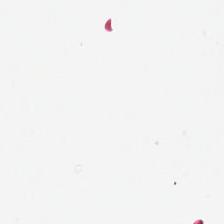H&E stain; brightfield. Impression — background.
